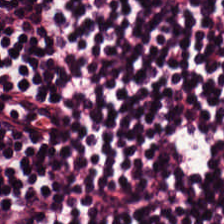Stain: hematoxylin and eosin.
Classification: lymphoid infiltrate.
